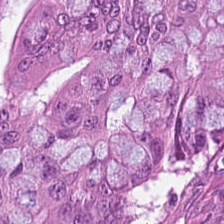Q: Classify this patch.
A: This is colorectal adenocarcinoma epithelium.
